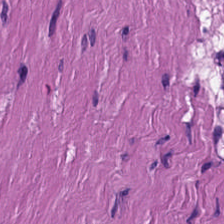H&E stain.
Tissue class = muscularis.
